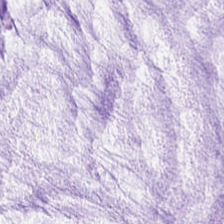224×224 px patch; H&E; 20× equivalent magnification — Q: What does this patch show?
A: The field shows mucus.
